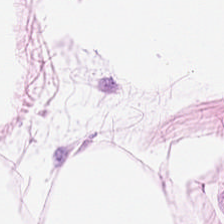This field is adipose tissue.
